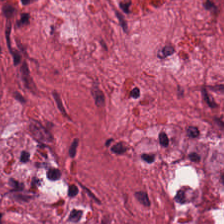224×224 pixel tile · 0.5 microns per pixel · H&E — Q: What is shown here?
A: This is desmoplastic stroma.
